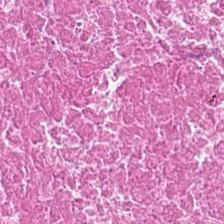H&E. Cellular debris.
